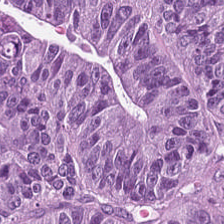H&E-stained tissue section. Showing colorectal adenocarcinoma epithelium.
